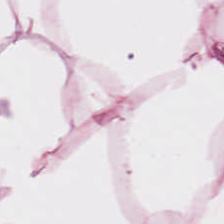Hematoxylin and eosin · brightfield.
Impression — adipocytes.
